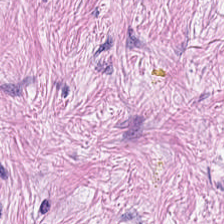H&E — Showing cancer-associated stroma.
